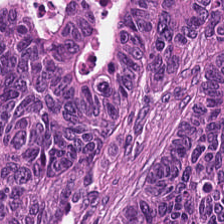224×224 px tile · FFPE tissue section · H&E-stained tissue section. Q: Classify this patch.
A: The field shows malignant epithelium.
